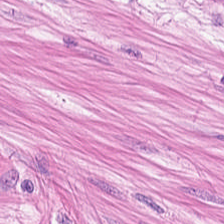Brightfield microscopy. Hematoxylin-and-eosin stained section — Finding — smooth muscle.
